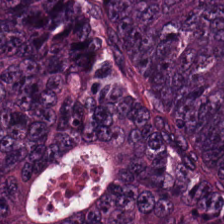224×224 px tile · H&E.
This patch shows colorectal adenocarcinoma epithelium.
